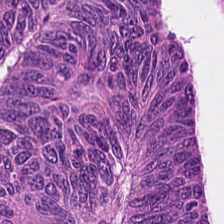H&E-stained tissue section; WSI patch. {"tissue_type": "colorectal adenocarcinoma epithelium"}
